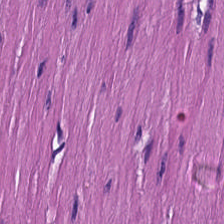Hematoxylin-and-eosin stained section. Q: Identify the tissue.
A: It is smooth muscle.
